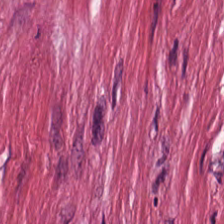H&E stain; 224×224 px tile. Predominant tissue: desmoplastic stroma.
